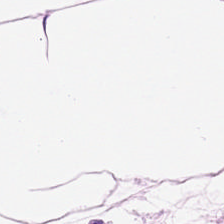Histology — adipose tissue.
